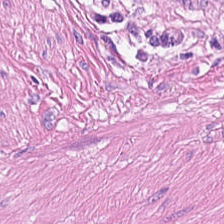Hematoxylin and eosin — {"tissue_type": "smooth muscle"}
